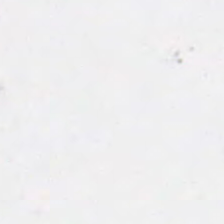Formalin-fixed paraffin-embedded section · hematoxylin and eosin — This field is background (no tissue).
